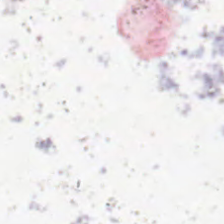Stain: H&E.
Field content: no tissue.
